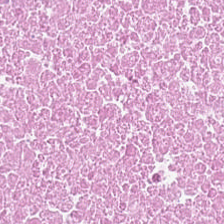{"tissue_type": "necrotic debris"}
